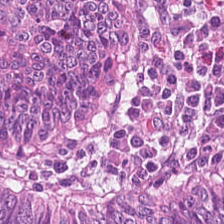Hematoxylin and eosin — The classification is colorectal adenocarcinoma epithelium.
